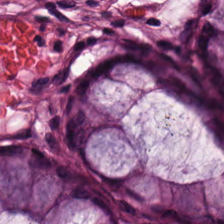224×224 px tile. FFPE. Hematoxylin-and-eosin stained section. Predominantly benign colonic mucosa.
